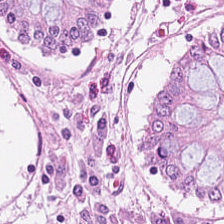H&E stain. {"tissue_type": "normal colonic mucosa"}
